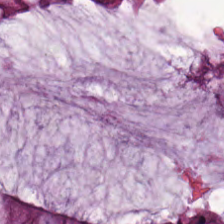H&E-stained tissue section.
The tissue here is benign colonic mucosa.
